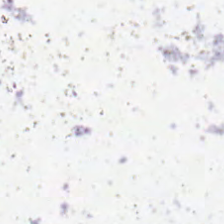Empty field — empty background.
